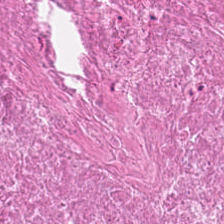H&E stain. This field is debris.
